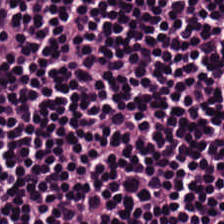Hematoxylin-and-eosin stained section. Tissue — lymphocyte aggregate.
